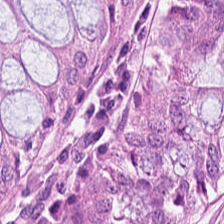FFPE tissue section; hematoxylin and eosin; 0.5 µm per pixel.
This field is normal colonic mucosa.
